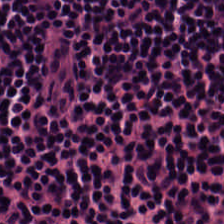Hematoxylin and eosin. This patch shows lymphocyte aggregate.
